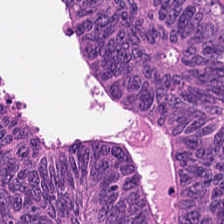0.5 µm per pixel · hematoxylin-and-eosin stained section. Histology — colorectal adenocarcinoma epithelium.
